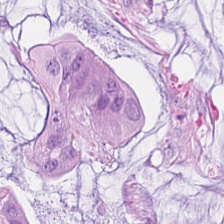Whole-slide-image patch. 0.5 µm/px. Hematoxylin and eosin. Finding — mucin.
